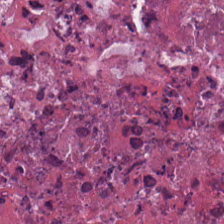H&E · 0.5 µm/px — Predominantly debris.
